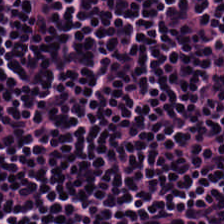WSI patch; H&E-stained tissue section; 0.5 µm per pixel — The predominant tissue is lymphoid infiltrate.
